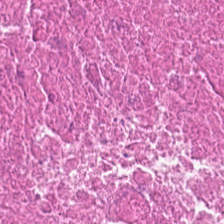Stain: H&E.
Resolution: 0.5 µm/px.
Preparation: FFPE.
Predominant tissue: cellular debris.
